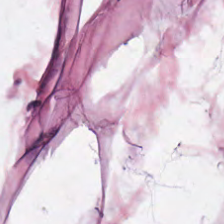Hematoxylin-and-eosin stained section; 0.5 µm/px — The tissue here is adipose.
